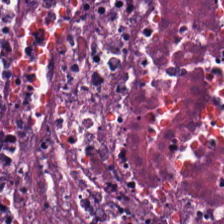H&E.
This field is necrotic debris.
